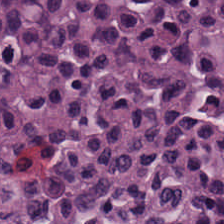Stain: H&E-stained tissue section.
Resolution: 0.5 microns per pixel.
Acquisition: whole-slide-image patch.
Tissue: lymphoid infiltrate.
